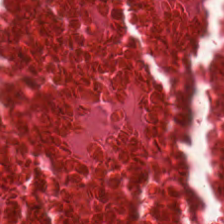Classification = debris.
